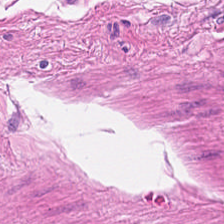H&E stain. {"tissue_type": "smooth muscle"}
